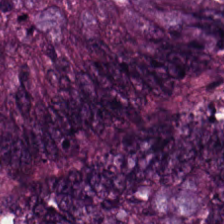Q: What does this patch show?
A: It is tumor epithelium.
